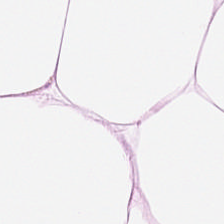H&E patch showing adipose.
